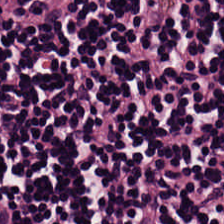H&E-stained tissue section showing lymphocytic infiltrate.
